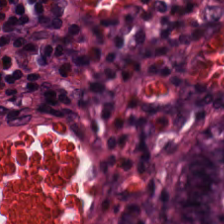The tissue class is normal colon mucosa.
